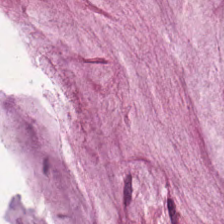H&E — mucus.
